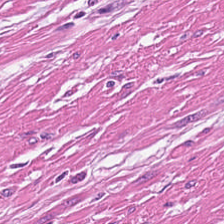FFPE tissue section · H&E. Q: What tissue is shown?
A: It is smooth muscle.
